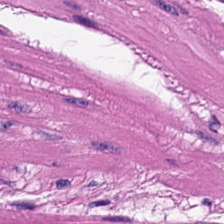0.5 µm per pixel; FFPE tissue section; H&E-stained tissue section. This field is smooth-muscle tissue.
